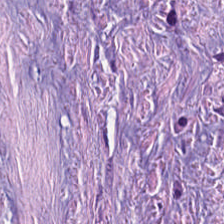Stain: H&E stain.
Classification: tumor stroma.
